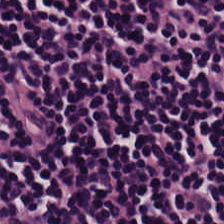Hematoxylin-and-eosin stained section — Q: What type of tissue is this?
A: This is lymphocytic infiltrate.
